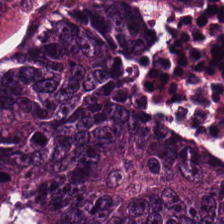H&E-stained tissue section.
Q: What type of tissue is this?
A: This is colorectal adenocarcinoma.
